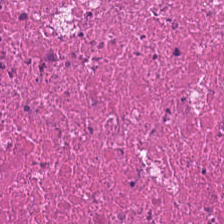H&E-stained tissue section — This patch shows debris.
